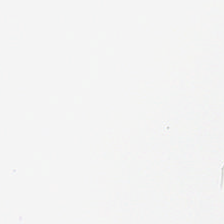H&E-stained tissue section — This patch shows background.
